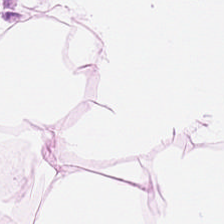Hematoxylin-and-eosin stained section.
Q: What type of tissue is this?
A: It is adipocytes.
